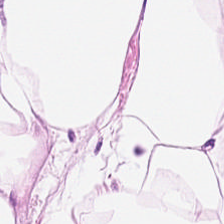H&E-stained tissue section — Finding → fat tissue.
